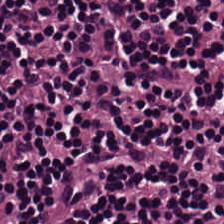Stain: H&E stain.
Tissue: lymphoid infiltrate.
